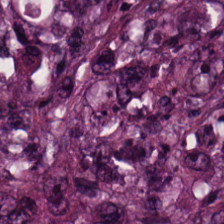Q: What is the predominant tissue type?
A: Tumor epithelium.
